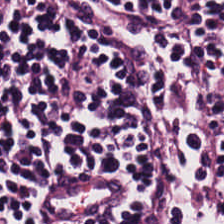Lymphocytes.
